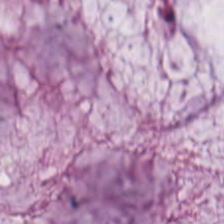FFPE tissue section. Hematoxylin-and-eosin stained section.
Q: What is shown in this field?
A: This is mucus.
